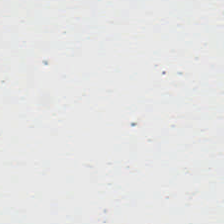H&E stain. The field content is no tissue.
